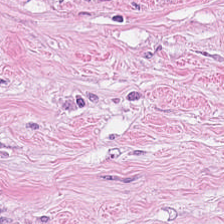H&E. Q: What is shown in this field?
A: Cancer-associated stroma.
